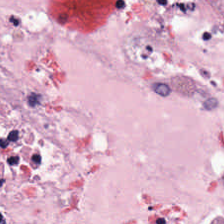224×224 pixel tile. H&E stain. The predominant tissue is cancer-associated stroma.
